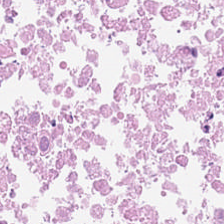Showing cellular debris.
